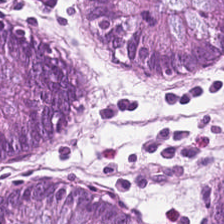H&E-stained tissue section — {"tissue_type": "non-neoplastic colon mucosa"}
